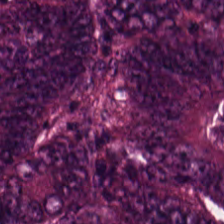H&E-stained tissue section · WSI patch.
Predominantly adenocarcinoma.
